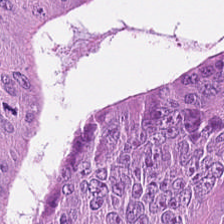Stain: hematoxylin and eosin.
Resolution: 0.5 microns per pixel.
Tissue: tumor epithelium.
